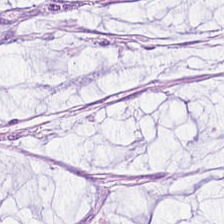0.5 µm/px · H&E · 224×224 px patch. Q: Identify the tissue.
A: It is extracellular mucin.
